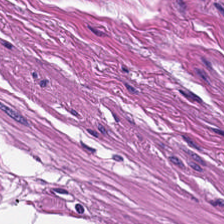H&E stain. Predominantly smooth-muscle tissue.
